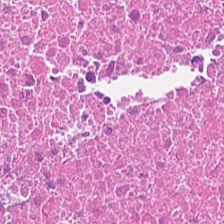The tissue class is cellular debris.
